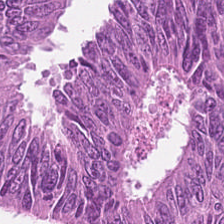H&E — adenocarcinoma.
